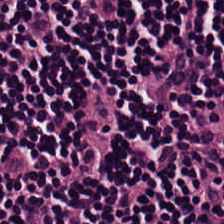FFPE tissue section; hematoxylin and eosin.
Predominantly lymphocyte aggregate.
